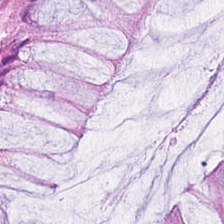Hematoxylin-and-eosin stained section — Predominantly normal colon mucosa.
